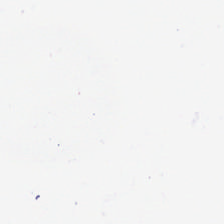Histology → background.
